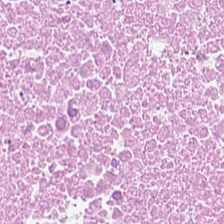H&E — Tissue type — debris.
